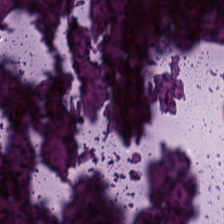H&E — Tissue: cellular debris.
